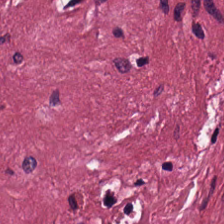Tissue class = cancer-associated stroma.
